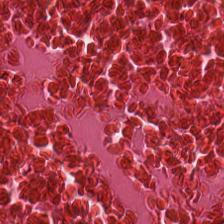224×224 pixel tile; H&E stain.
Tissue class = necrotic debris.
